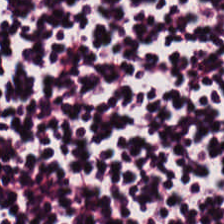Hematoxylin and eosin. Brightfield microscopy. 0.5 microns per pixel. Predominantly lymphocyte aggregate.
